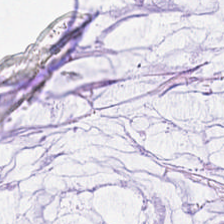Hematoxylin-and-eosin stained section.
Q: Identify the tissue.
A: The field shows mucin.
